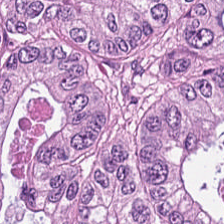0.5 microns per pixel · H&E-stained tissue section · FFPE — The tissue is malignant epithelium.
